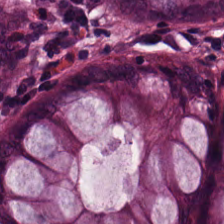H&E · FFPE tissue section — The tissue here is normal colon mucosa.
